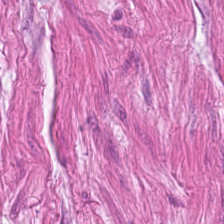Hematoxylin and eosin — Q: What tissue is shown?
A: The field shows smooth-muscle tissue.
